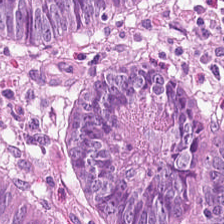H&E; 0.5 µm per pixel.
Finding → colorectal adenocarcinoma epithelium.
